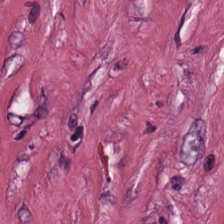The predominant tissue is cancer-associated stroma.
